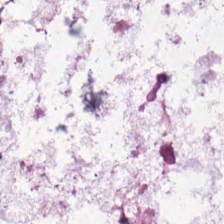H&E-stained tissue section. FFPE — Predominant tissue — mucus.
